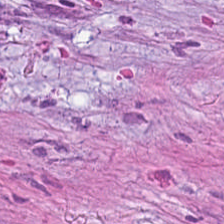H&E stain.
Predominant tissue — cancer-associated stroma.
